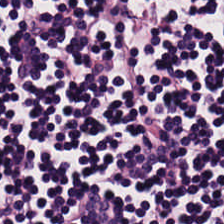0.5 microns per pixel · 224×224 px patch · H&E. The predominant tissue is lymphoid infiltrate.
